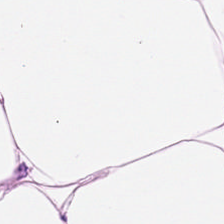0.5 µm/px · hematoxylin-and-eosin stained section · WSI patch — Showing adipose.
